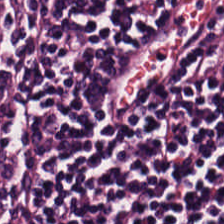H&E; 224×224 px tile; formalin-fixed paraffin-embedded section — Predominantly lymphoid infiltrate.
